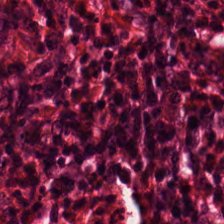H&E · 224×224 px patch · WSI patch. The tissue here is normal colonic mucosa.
